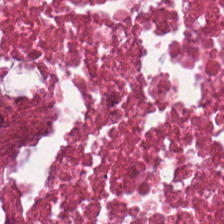Hematoxylin-and-eosin stained section — Showing necrotic debris.
